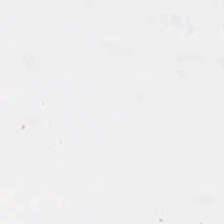H&E stain. No tissue.
